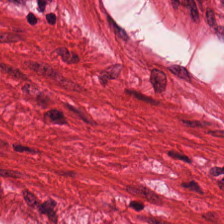Hematoxylin and eosin · 224×224 px tile. Histology → smooth-muscle tissue.
